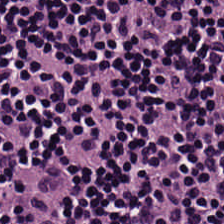H&E-stained tissue section. Lymphoid infiltrate.
